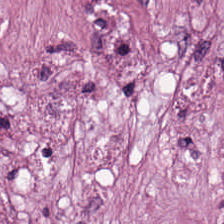Stain: hematoxylin-and-eosin stained section.
Tissue type: tumor stroma.
